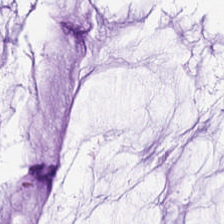Hematoxylin-and-eosin stained section. Whole-slide-image patch. 224×224 px tile. The tissue class is extracellular mucin.
